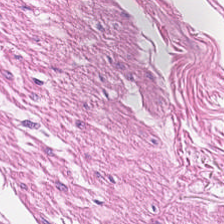Hematoxylin-and-eosin stained section. Q: What is shown here?
A: Smooth muscle.
